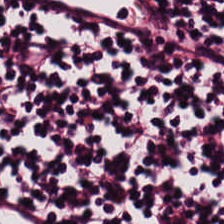Formalin-fixed paraffin-embedded section; H&E stain.
{"tissue_type": "lymphocytic infiltrate"}
